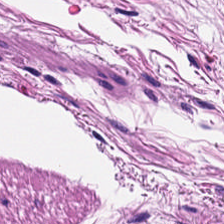Hematoxylin-and-eosin stained section. Impression → smooth muscle.
